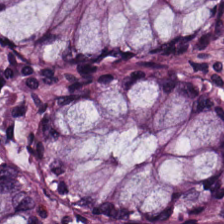FFPE. 20× equivalent magnification. Hematoxylin-and-eosin stained section — This patch shows benign colonic mucosa.
